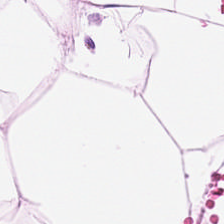Impression → adipose tissue.
